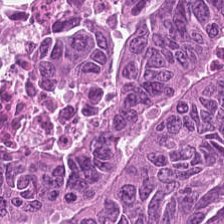H&E-stained tissue section — Q: What tissue is shown?
A: Adenocarcinoma.
